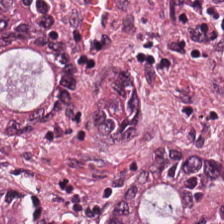Whole-slide-image patch · hematoxylin-and-eosin stained section.
Classification = adenocarcinoma.
